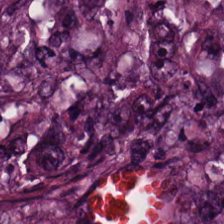H&E — Showing colorectal adenocarcinoma.
